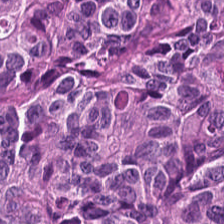Showing tumor epithelium.
